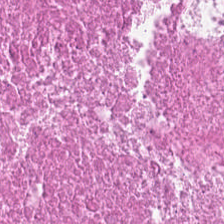FFPE tissue section · 224×224 px patch · hematoxylin-and-eosin stained section.
This field is debris.
